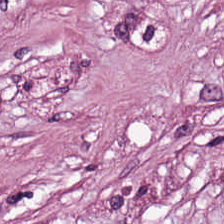224×224 px patch; FFPE tissue section; hematoxylin and eosin — Tissue class — desmoplastic stroma.
